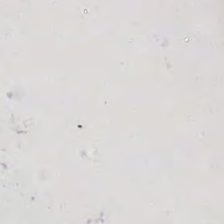FFPE. H&E stain.
Q: What is shown in this field?
A: No tissue.
